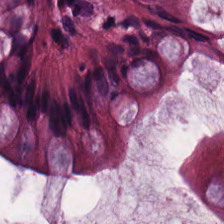Hematoxylin and eosin. Showing normal colonic mucosa.
